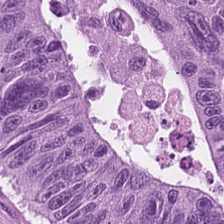This patch shows colorectal adenocarcinoma epithelium.
